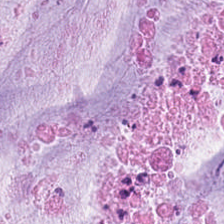H&E; FFPE tissue section.
Mucus.
